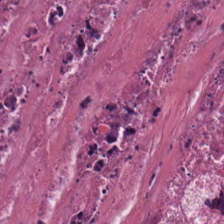H&E-stained tissue section — Histology → necrotic debris.
